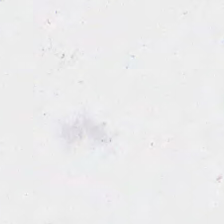Hematoxylin-and-eosin stained section — Q: Classify this patch.
A: The field shows background (no tissue).
